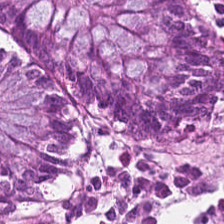Stain: H&E stain.
Tissue: normal colon mucosa.
